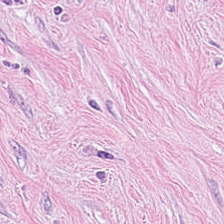FFPE tissue section · H&E stain. Showing tumor stroma.
